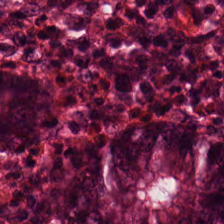Finding → non-neoplastic colon mucosa.
